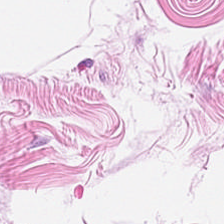0.5 µm per pixel. Hematoxylin-and-eosin stained section.
Predominant tissue = adipose.
